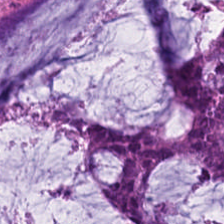H&E-stained tissue section.
Finding → extracellular mucin.
